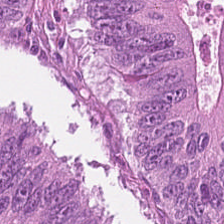WSI patch · H&E-stained tissue section · 224×224 px patch.
Colorectal adenocarcinoma.
